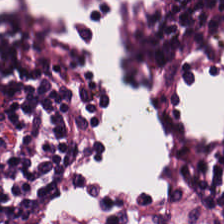This field is lymphocyte aggregate.
